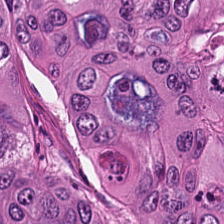224×224 px patch; hematoxylin and eosin; FFPE.
Tissue class: colorectal adenocarcinoma epithelium.
